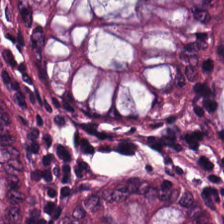Hematoxylin-and-eosin stained section; whole-slide-image patch; FFPE. Tissue class: normal colonic mucosa.
